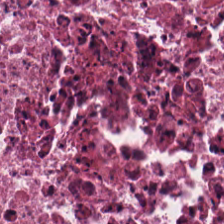Hematoxylin and eosin · FFPE tissue section · brightfield. This field is debris.
